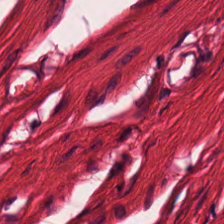Stain: hematoxylin-and-eosin stained section.
Tissue type: muscularis.
